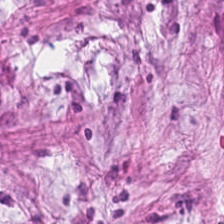Predominant tissue: tumor-associated stroma.
